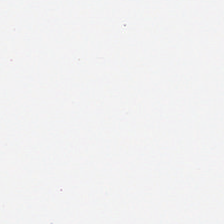H&E. 224×224 px patch.
Q: What does this patch show?
A: It is no tissue.
